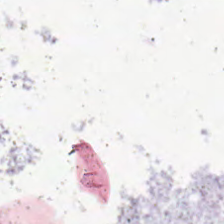Content: background (no tissue).
